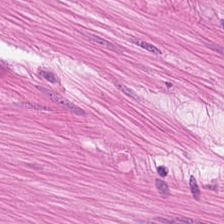This patch shows muscularis.
